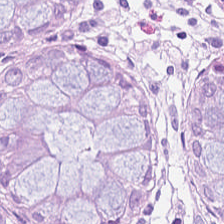H&E — The predominant tissue is normal colonic mucosa.
